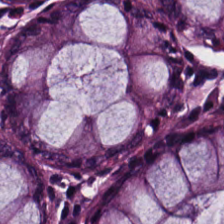H&E stain; 224×224 pixel tile. Q: What tissue type is shown here?
A: It is non-neoplastic colon mucosa.
